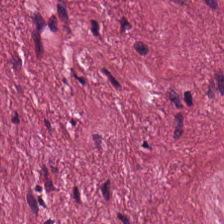Tissue class = tumor stroma.
